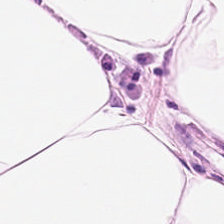H&E · 0.5 µm per pixel · 224×224 pixel tile. Showing adipose tissue.
